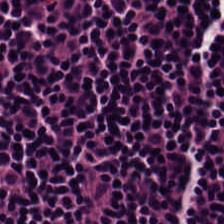H&E-stained tissue section. FFPE.
This patch shows lymphoid infiltrate.
